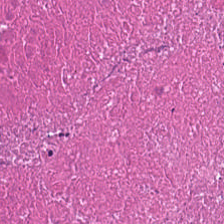Q: What does this patch show?
A: Necrotic debris.
